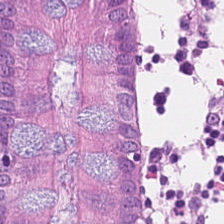Hematoxylin-and-eosin stained section.
Finding → normal colon mucosa.
